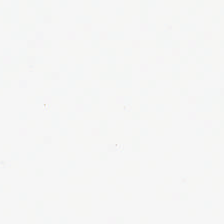Brightfield microscopy · 20× equivalent magnification · H&E-stained tissue section — Field content — no tissue.
